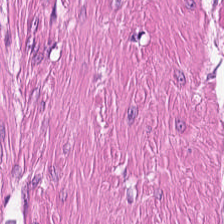H&E stain — Classification = muscularis.
